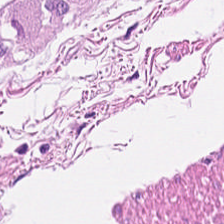H&E.
Q: What tissue type is shown here?
A: The field shows muscularis.
